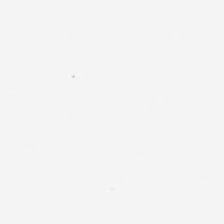Hematoxylin and eosin; 0.5 µm/px; 224×224 px patch.
Finding → background (no tissue).
